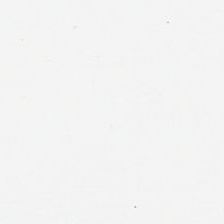Brightfield microscopy; 0.5 µm per pixel; H&E-stained tissue section.
Q: Classify this patch.
A: This is no tissue.
